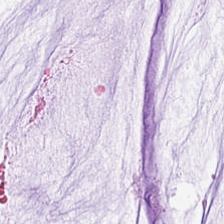FFPE tissue section. H&E stain.
Q: What is shown here?
A: Extracellular mucin.
